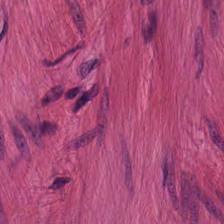FFPE tissue section; 224×224 px patch; hematoxylin-and-eosin stained section.
Impression → smooth-muscle tissue.
